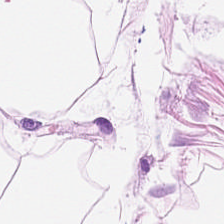H&E stain · brightfield. Q: What tissue type is shown here?
A: It is fat tissue.
